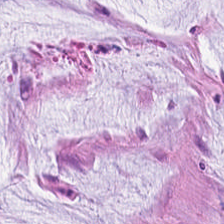Hematoxylin-and-eosin stained section. 224×224 px patch — Mucus.
